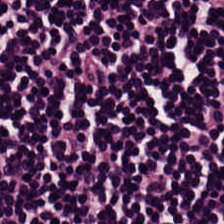H&E stain. Q: What type of tissue is this?
A: It is lymphoid infiltrate.
